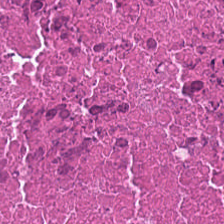H&E; FFPE; brightfield microscopy — This patch shows debris.
